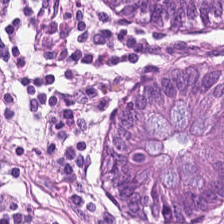Whole-slide-image patch; hematoxylin and eosin — {"tissue_type": "normal colon mucosa"}
